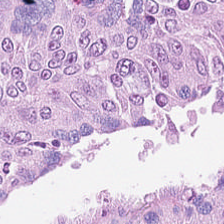H&E stain.
Tissue class — adenocarcinoma.
